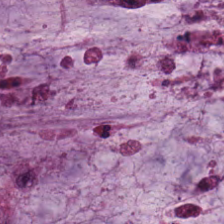224×224 pixel tile. H&E-stained tissue section. 0.5 µm per pixel.
Classification — mucus.
